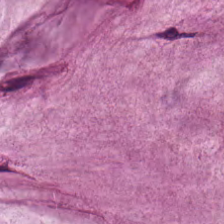H&E stain. Mucin.
